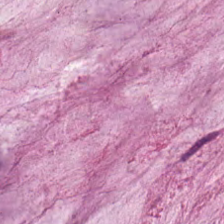Q: What tissue is shown?
A: This is extracellular mucin.
